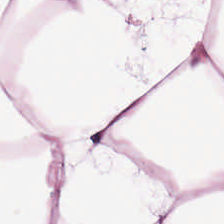WSI patch; H&E. The tissue is fat tissue.
